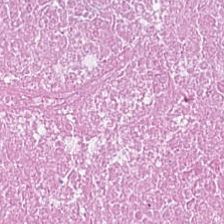H&E. Tissue class = debris.
